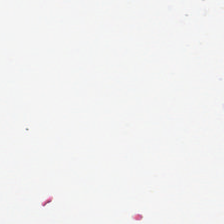Stain: hematoxylin-and-eosin stained section.
Resolution: 20× equivalent magnification.
Classification: empty background.
